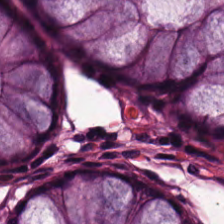H&E-stained tissue section.
The predominant tissue is benign colonic mucosa.
